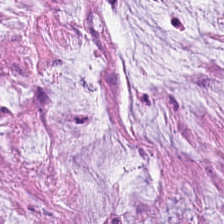H&E-stained tissue section.
Q: What is shown in this field?
A: This is extracellular mucin.
